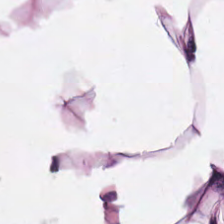Hematoxylin-and-eosin stained section. This field is adipose.
